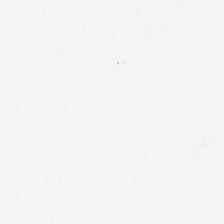Classification = background (no tissue).
